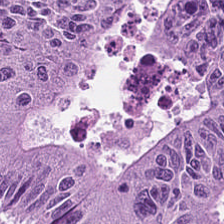Stain: hematoxylin and eosin.
Resolution: 0.5 microns per pixel.
Tissue: colorectal adenocarcinoma.
